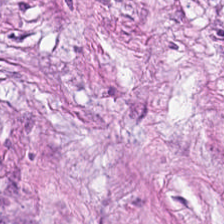Formalin-fixed paraffin-embedded section · H&E stain · 224×224 pixel tile — Tissue = desmoplastic stroma.
